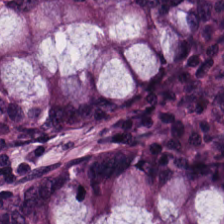The tissue here is benign colonic mucosa.
